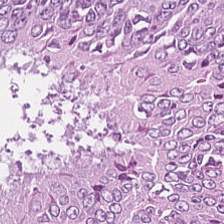Stain: H&E-stained tissue section.
Resolution: 0.5 µm/px.
Predominant tissue: colorectal adenocarcinoma epithelium.
